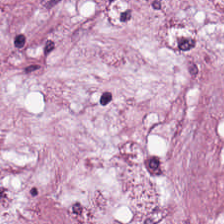{"tissue_type": "tumor-associated stroma"}
